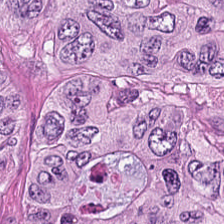The predominant tissue is malignant epithelium.
